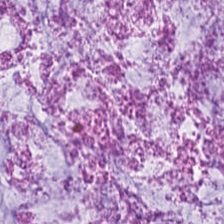H&E-stained tissue section; 224×224 pixel tile — Predominantly extracellular mucin.
